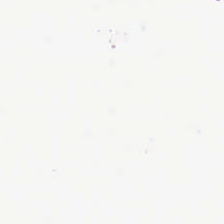Field content = background (no tissue).
